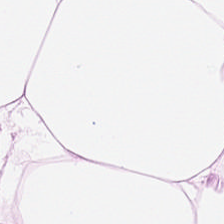This patch shows adipose tissue.
